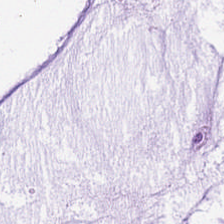Hematoxylin-and-eosin stained section — Showing extracellular mucin.
